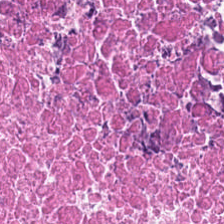Hematoxylin and eosin.
The tissue here is cellular debris.
